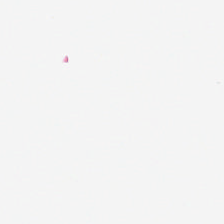H&E-stained tissue section.
Background — no tissue in this field.
